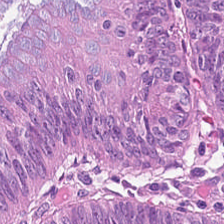Histology — colorectal adenocarcinoma epithelium.
